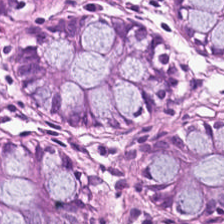H&E-stained section; the field shows normal colon mucosa.
